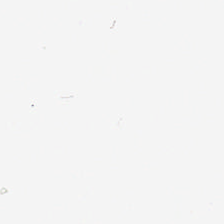Q: What is shown in this field?
A: No tissue.
